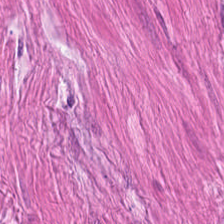Showing smooth-muscle tissue.
